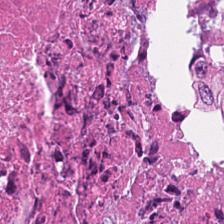Stain: hematoxylin and eosin.
Tissue class: debris.
